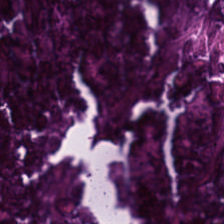224×224 pixel tile · H&E stain · FFPE — Predominant tissue — debris.
